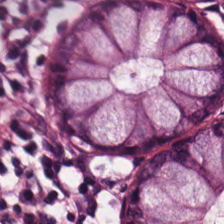H&E. The tissue here is non-neoplastic colon mucosa.
